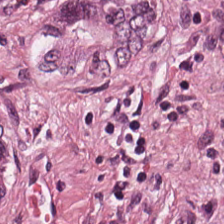Stain: H&E-stained tissue section.
Predominant tissue: cancer-associated stroma.
